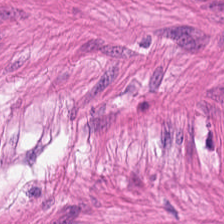Hematoxylin and eosin.
The tissue class is smooth muscle.
